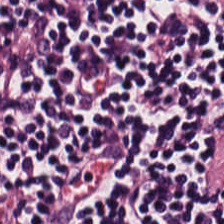Brightfield microscopy · hematoxylin-and-eosin stained section.
Lymphocytic infiltrate.
